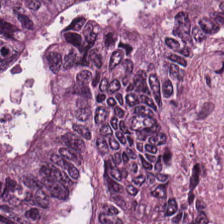H&E · 224×224 pixel tile — Tissue class = colorectal adenocarcinoma.
